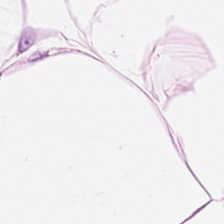Formalin-fixed paraffin-embedded section. Hematoxylin-and-eosin stained section — Adipose.
